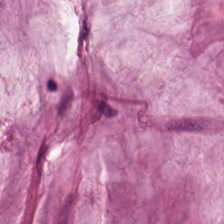20× equivalent magnification · FFPE · H&E stain — Tissue class = extracellular mucin.
